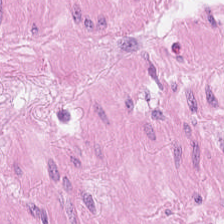Hematoxylin-and-eosin stained section · FFPE tissue section — Smooth muscle.
